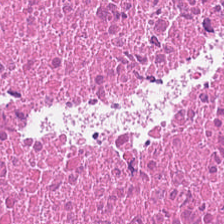Predominant tissue: necrotic debris.
